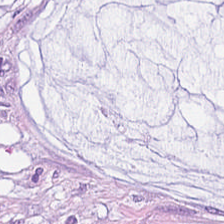Whole-slide-image patch. Hematoxylin and eosin — This field is extracellular mucin.
